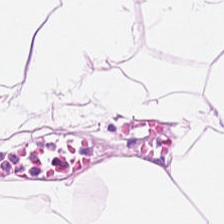Hematoxylin-and-eosin stained section. The tissue is adipose tissue.
